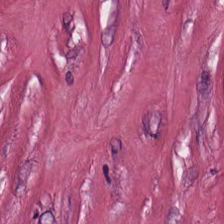H&E stain. 224×224 pixel tile. Impression → tumor-associated stroma.
